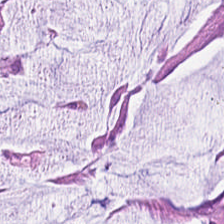Whole-slide-image patch · FFPE tissue section · H&E stain.
Finding — extracellular mucin.
